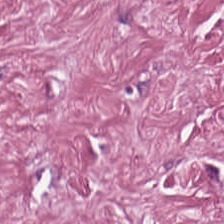Tissue type — tumor stroma.
